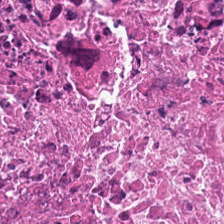Hematoxylin-and-eosin stained section — Tissue class: debris.
